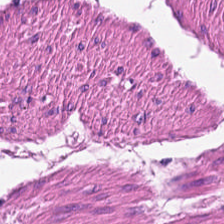Histology — muscularis.
